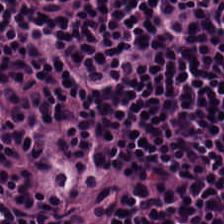FFPE · 224×224 pixel tile · hematoxylin-and-eosin stained section.
This field is lymphocytic infiltrate.
